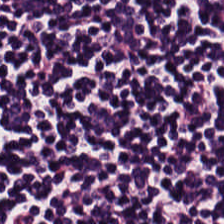0.5 microns per pixel. Hematoxylin-and-eosin stained section. Formalin-fixed paraffin-embedded section.
Lymphocyte aggregate.
